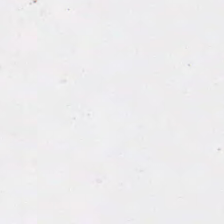Hematoxylin-and-eosin stained section; 0.5 µm/px; brightfield microscopy.
{"content": "background"}
